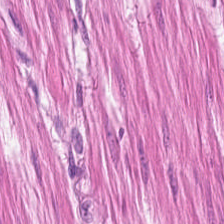WSI patch · H&E-stained tissue section. Showing muscularis.
